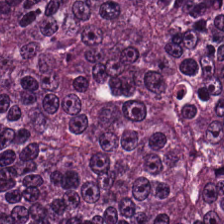Hematoxylin-and-eosin stained section.
Finding → colorectal adenocarcinoma epithelium.
